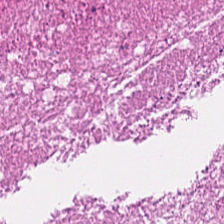Hematoxylin-and-eosin section: debris.
